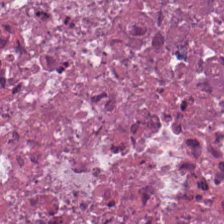Hematoxylin and eosin. Showing debris.
